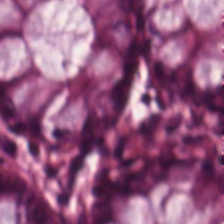0.5 µm/px. Hematoxylin and eosin. Brightfield. Classification = normal colon mucosa.
